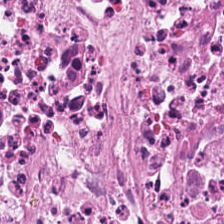Hematoxylin and eosin — Q: What tissue type is shown here?
A: Debris.
